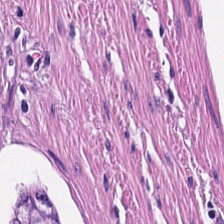H&E patch showing smooth-muscle tissue.
